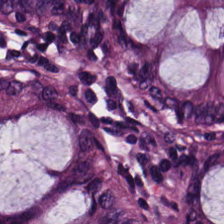Q: What is shown here?
A: The field shows normal colonic mucosa.
